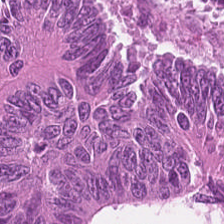Hematoxylin-and-eosin stained section — This patch shows malignant epithelium.
